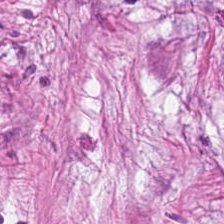WSI patch. 20× equivalent magnification. H&E. Tissue class: tumor-associated stroma.
